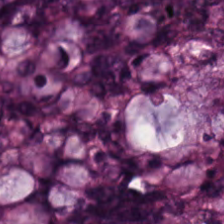H&E · WSI patch — Finding — adenocarcinoma.
